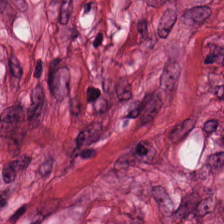224×224 px patch. Formalin-fixed paraffin-embedded section. Hematoxylin-and-eosin stained section. Finding → tumor stroma.
